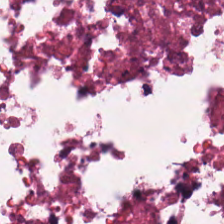H&E stain · 20× equivalent magnification · WSI patch.
The predominant tissue is cellular debris.
